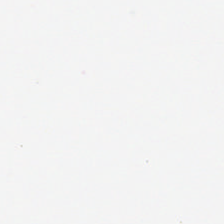Hematoxylin and eosin. WSI patch — Q: Classify this patch.
A: The field shows background (no tissue).
